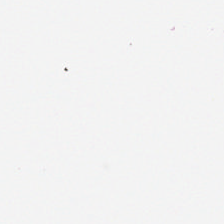Hematoxylin and eosin. Empty background.
